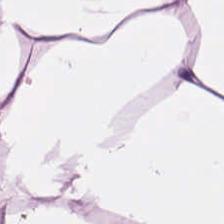Q: Identify the tissue.
A: The field shows adipose.
